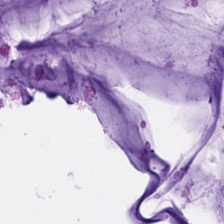H&E — Mucus.
